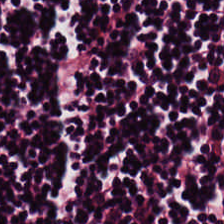Stain: hematoxylin and eosin.
Resolution: 0.5 microns per pixel.
Tissue: lymphocyte aggregate.
